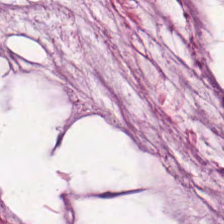Hematoxylin and eosin. 224×224 px tile.
Impression → mucin.
